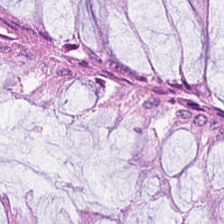Hematoxylin-and-eosin stained section. 224×224 px tile — Impression → non-neoplastic colon mucosa.
